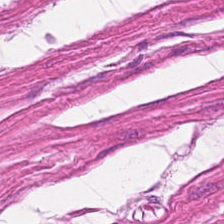0.5 µm per pixel. H&E stain.
Showing smooth-muscle tissue.
